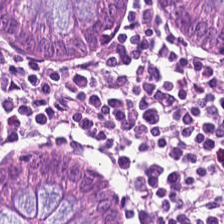H&E stain.
This field is normal colon mucosa.
